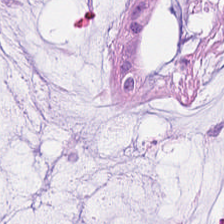H&E patch showing mucus.
